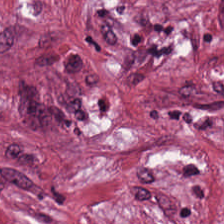H&E. Brightfield — This field is tumor stroma.
